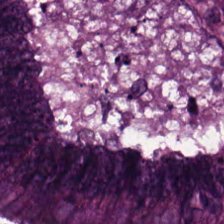Formalin-fixed paraffin-embedded section · hematoxylin and eosin — Q: What tissue type is shown here?
A: Tumor epithelium.
